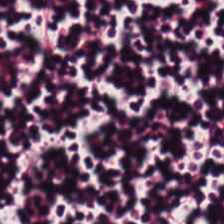H&E.
Q: What is shown here?
A: This is lymphocyte aggregate.
